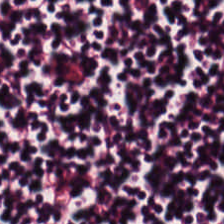Showing lymphoid infiltrate.
